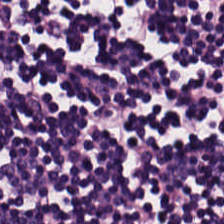224×224 pixel tile · hematoxylin-and-eosin stained section · formalin-fixed paraffin-embedded section — Q: Classify this patch.
A: The field shows lymphocyte aggregate.
